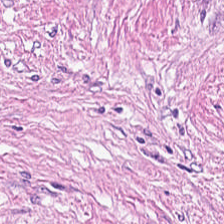Hematoxylin-and-eosin stained section; 20× equivalent magnification; WSI patch — Predominant tissue = tumor stroma.
